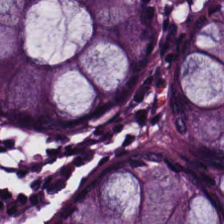20× equivalent magnification; hematoxylin and eosin; 224×224 px patch — Q: What is the predominant tissue type?
A: It is benign colonic mucosa.
